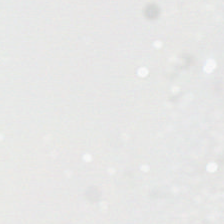{"content": "empty background"}
